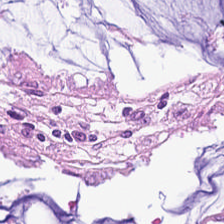H&E.
{"tissue_type": "normal colonic mucosa"}
